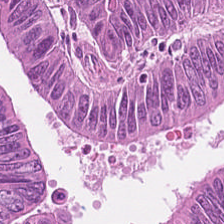Hematoxylin and eosin. Tumor epithelium.
